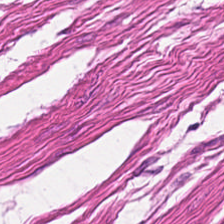H&E stain.
Q: Classify this patch.
A: Muscularis.
